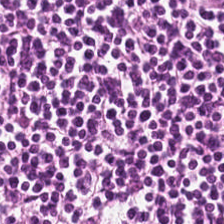H&E-stained tissue section · WSI patch · 224×224 px tile. Showing lymphocytes.
